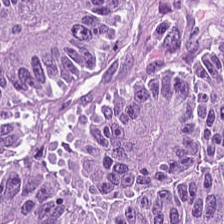Whole-slide-image patch. H&E stain. 0.5 µm/px.
Tissue — tumor epithelium.
